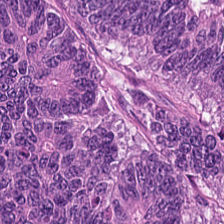Hematoxylin-and-eosin stained section. Tissue type = colorectal adenocarcinoma.
